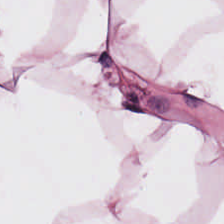Hematoxylin-and-eosin stained section.
Adipose tissue.
